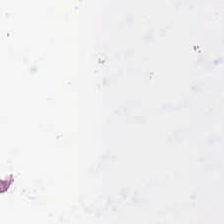H&E · brightfield.
No tissue present; background only.
